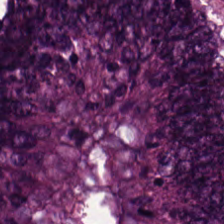Hematoxylin-and-eosin stained section — Q: Classify this patch.
A: Colorectal adenocarcinoma epithelium.
